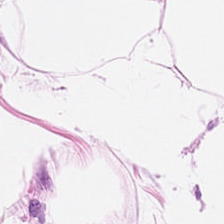Hematoxylin-and-eosin stained section.
Tissue class — adipose tissue.
